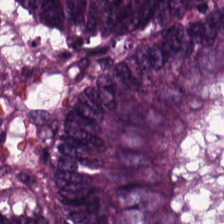H&E-stained tissue section — Tissue type = colorectal adenocarcinoma.
